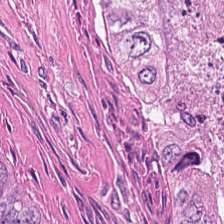Predominant tissue: cellular debris.
